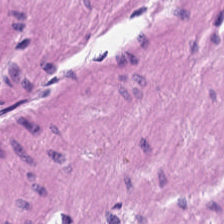Brightfield; H&E-stained tissue section — Predominantly smooth-muscle tissue.
